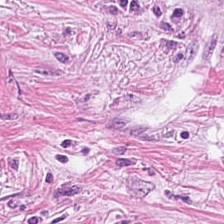H&E stain. Tissue type: desmoplastic stroma.
